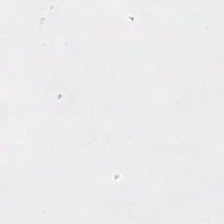No tissue present; background only.
